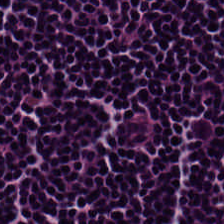H&E stain. Lymphocytic infiltrate.
